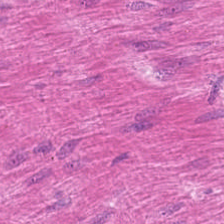0.5 microns per pixel · brightfield microscopy · hematoxylin and eosin.
Tissue type = muscularis.
